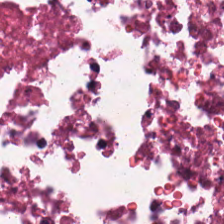H&E stain. FFPE. 0.5 microns per pixel.
Tissue type — cellular debris.
